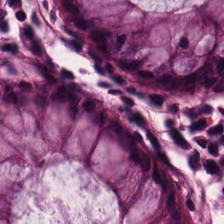Hematoxylin-and-eosin stained section — Predominant tissue = benign colonic mucosa.
